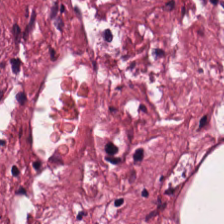FFPE tissue section · 224×224 px patch · hematoxylin-and-eosin stained section — Desmoplastic stroma.
